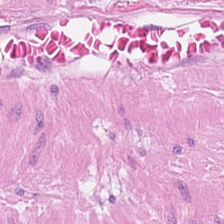Hematoxylin-and-eosin stained section. Formalin-fixed paraffin-embedded section — The predominant tissue is smooth muscle.
